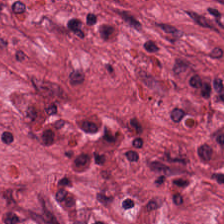Q: What tissue is shown?
A: Cancer-associated stroma.
